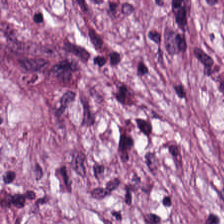Stain: hematoxylin and eosin.
Predominant tissue: tumor-associated stroma.
